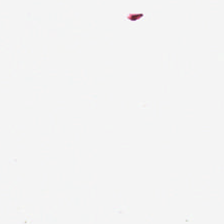Hematoxylin and eosin.
Background.
